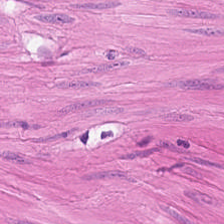H&E-stained tissue section. This patch shows smooth-muscle tissue.
